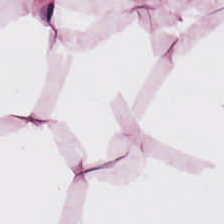H&E stain — Predominantly adipocytes.
